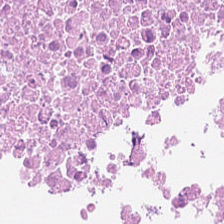Hematoxylin and eosin; brightfield — The tissue type is cellular debris.
